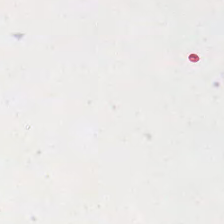Stain: hematoxylin and eosin.
Tile size: 224×224 pixel tile.
Classification: empty background.
